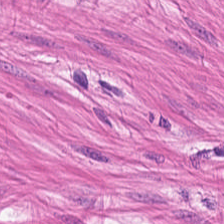H&E stain.
Predominant tissue: smooth muscle.
